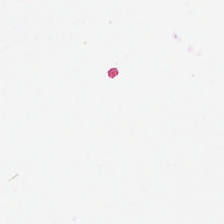FFPE tissue section. 20× equivalent magnification. Hematoxylin-and-eosin stained section — Background.
